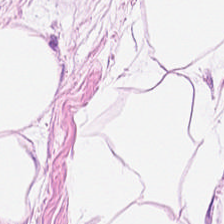224×224 pixel tile; H&E-stained tissue section. Q: What tissue type is shown here?
A: It is adipocytes.
